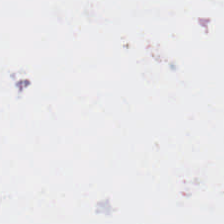Hematoxylin and eosin. Brightfield. FFPE tissue section. This patch shows background.
